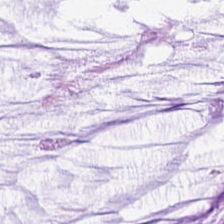This patch shows mucin.
